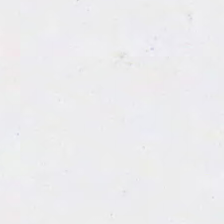0.5 microns per pixel; hematoxylin-and-eosin stained section — Classification: background (no tissue).
